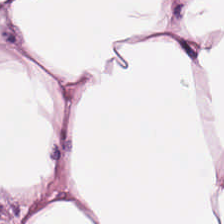Hematoxylin and eosin.
This patch shows adipocytes.
